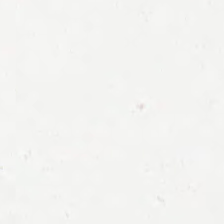Stain: hematoxylin and eosin.
Field content: no tissue.
